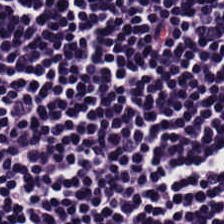H&E-stained tissue section.
This patch shows lymphocytes.
